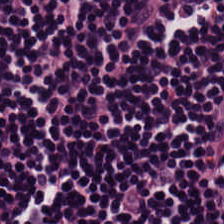Hematoxylin-and-eosin stained section. Tissue class = lymphoid infiltrate.
